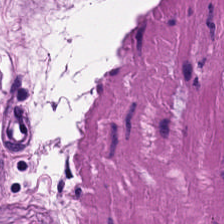Hematoxylin and eosin.
Q: What is shown here?
A: This is muscularis.
